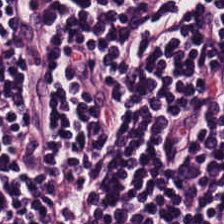Predominantly lymphoid infiltrate.
